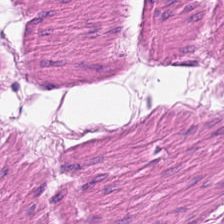Predominantly smooth muscle.
